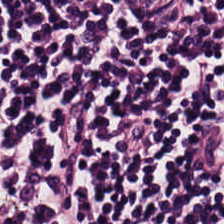Stain: H&E-stained tissue section.
Tissue: lymphocytes.
